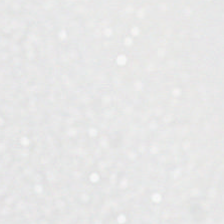Hematoxylin-and-eosin stained section. 0.5 µm per pixel. FFPE — No tissue present; background only.
